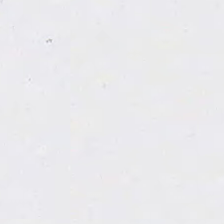The classification is empty background.
